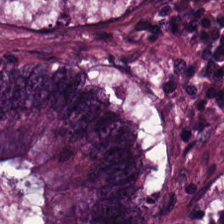Hematoxylin-and-eosin stained section. This field is adenocarcinoma.
